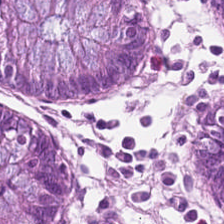Hematoxylin-and-eosin stained section.
Histology → non-neoplastic colon mucosa.
